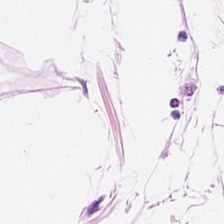Formalin-fixed paraffin-embedded section; H&E — The tissue here is adipose.
